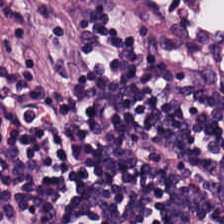224×224 px tile. 20× equivalent magnification. Hematoxylin and eosin. Classification = lymphocytic infiltrate.
